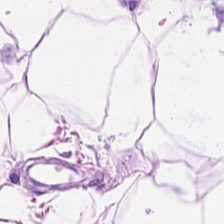Stain: hematoxylin-and-eosin stained section.
Predominant tissue: adipocytes.
